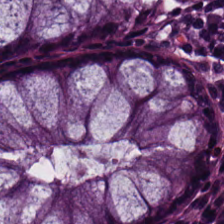Brightfield microscopy; H&E. Q: What tissue is shown?
A: This is benign colonic mucosa.
